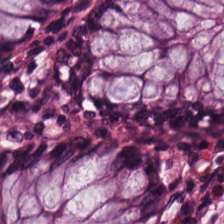Stain: hematoxylin and eosin.
Preparation: FFPE tissue section.
Predominant tissue: benign colonic mucosa.
